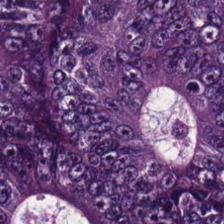H&E.
Predominantly adenocarcinoma.
